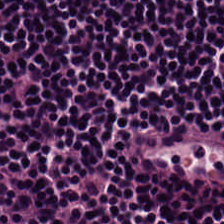Formalin-fixed paraffin-embedded section. H&E. Q: What tissue type is shown here?
A: It is lymphocyte aggregate.
